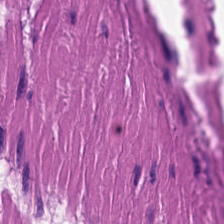Formalin-fixed paraffin-embedded section · H&E. Q: Classify this patch.
A: Muscularis.
